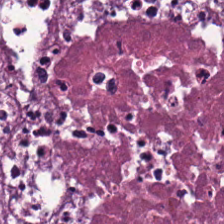Hematoxylin and eosin. The tissue here is cellular debris.
